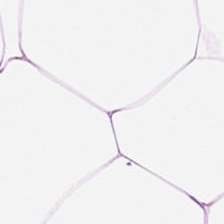Formalin-fixed paraffin-embedded section · hematoxylin and eosin — Showing adipose.
